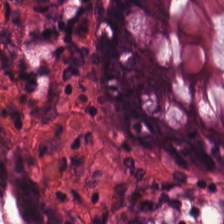Q: What does this patch show?
A: Non-neoplastic colon mucosa.
